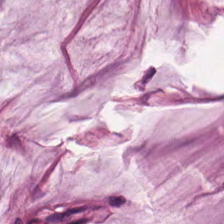Impression → mucus.
